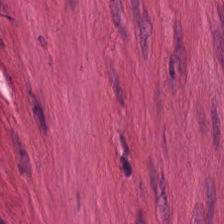{"tissue_type": "smooth muscle"}
